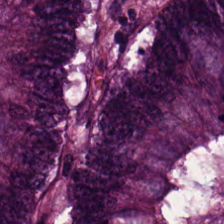FFPE · brightfield microscopy · H&E.
Showing colorectal adenocarcinoma.
